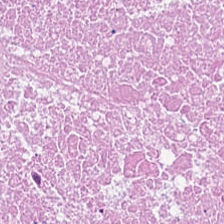Histology → cellular debris.
